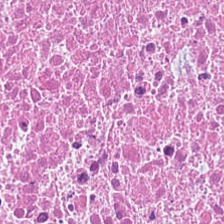H&E. The tissue here is necrotic debris.
